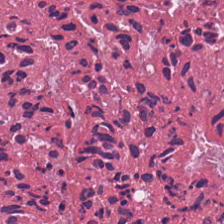Stain: H&E-stained tissue section.
Tile size: 224×224 px patch.
Tissue: cellular debris.
